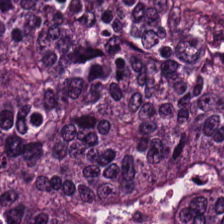H&E.
Tissue type: tumor epithelium.
